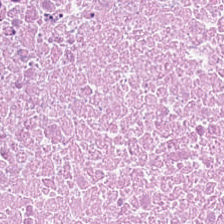H&E patch showing cellular debris.
